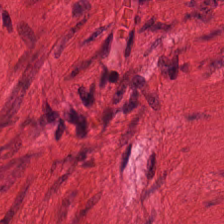Hematoxylin and eosin — This field is smooth muscle.
